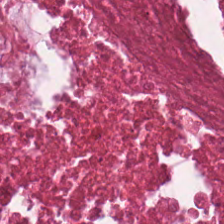H&E stain — Histology — debris.
